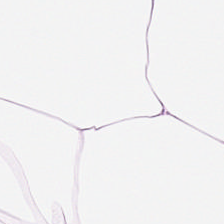This field is adipocytes.
